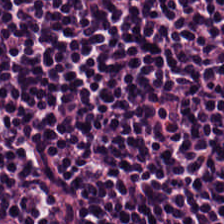H&E stain — Finding → lymphoid infiltrate.
